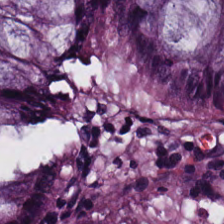H&E-stained section; the field shows normal colon mucosa.
